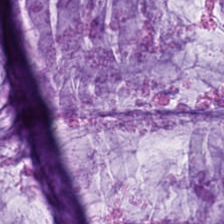H&E stain — The classification is mucus.
